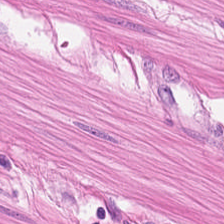Stain: H&E-stained tissue section.
Preparation: FFPE.
Classification: smooth muscle.
